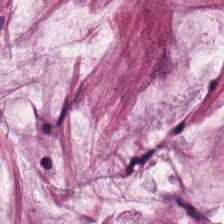Hematoxylin and eosin. Brightfield microscopy — Q: What type of tissue is this?
A: The field shows extracellular mucin.
